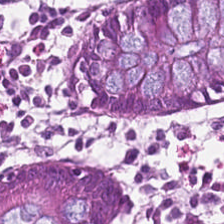224×224 px patch · hematoxylin and eosin — {"tissue_type": "normal colon mucosa"}
